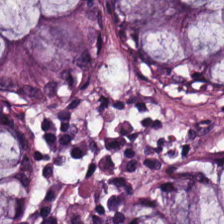H&E.
Showing non-neoplastic colon mucosa.
